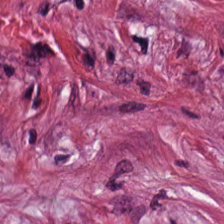H&E-stained section; the field shows tumor stroma.
